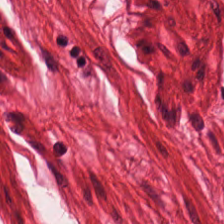Hematoxylin and eosin — Showing smooth-muscle tissue.
